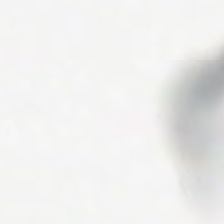H&E. Empty field — background (no tissue).
